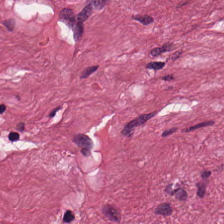Tissue — tumor stroma.
